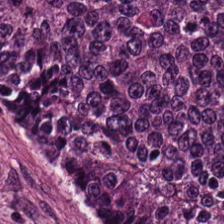Stain: hematoxylin-and-eosin stained section.
Tissue class: colorectal adenocarcinoma epithelium.
